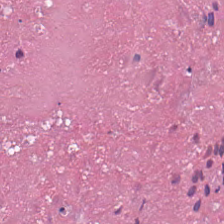The predominant tissue is debris.
